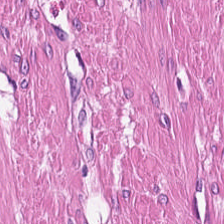0.5 µm/px. H&E stain. Brightfield.
The predominant tissue is smooth muscle.
